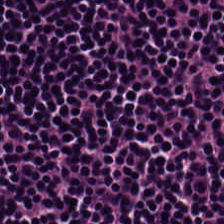Stain: hematoxylin and eosin.
Tile size: 224×224 px tile.
Acquisition: brightfield microscopy.
Classification: lymphocyte aggregate.
